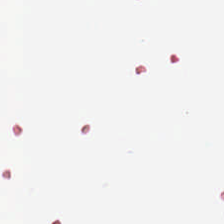H&E-stained tissue section.
Q: What is shown here?
A: This is empty background.
